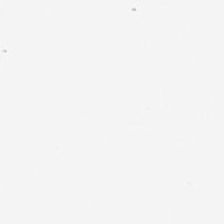H&E-stained tissue section · 224×224 px tile. Content = background.
